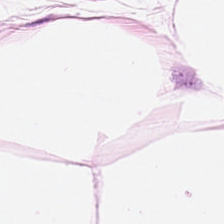H&E. {"tissue_type": "fat tissue"}
